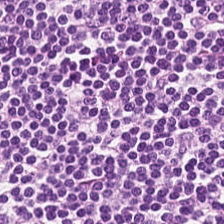Hematoxylin-and-eosin stained section — Histology → lymphocytes.
